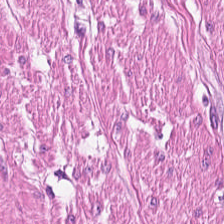Hematoxylin-and-eosin stained section; brightfield microscopy — {"tissue_type": "smooth-muscle tissue"}
